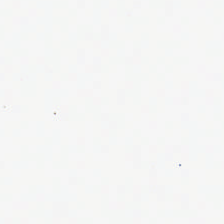H&E-stained tissue section; FFPE tissue section — The field content is background.
